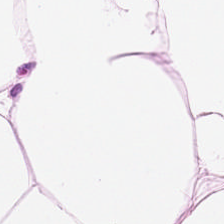224×224 px tile. Hematoxylin-and-eosin stained section — {"tissue_type": "adipose tissue"}
